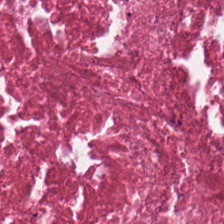H&E-stained tissue section. Q: What is the predominant tissue type?
A: This is cellular debris.
